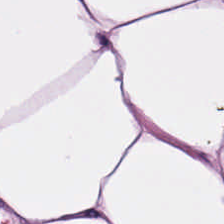Hematoxylin-and-eosin stained section.
This field is fat tissue.
